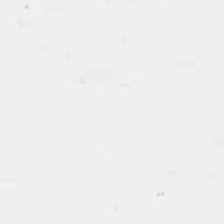H&E — No tissue.
